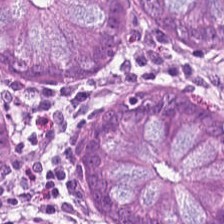{"tissue_type": "normal colonic mucosa"}
